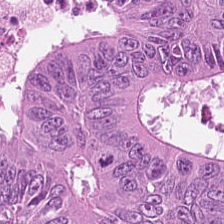Stain: hematoxylin-and-eosin stained section.
Tissue: adenocarcinoma.
